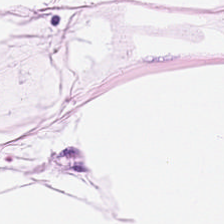H&E. Tissue = adipocytes.
